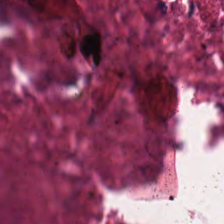H&E. FFPE tissue section. Tissue: necrotic debris.
